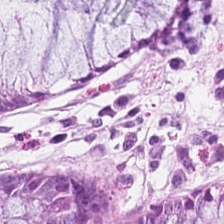H&E patch showing non-neoplastic colon mucosa.
